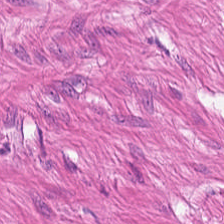0.5 microns per pixel · hematoxylin and eosin.
The tissue type is muscularis.
